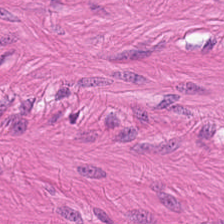Q: What is shown here?
A: The field shows smooth-muscle tissue.
